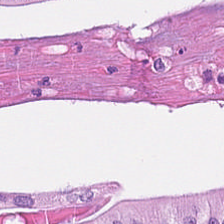Hematoxylin and eosin. Q: Classify this patch.
A: The field shows colorectal adenocarcinoma epithelium.
